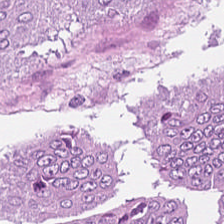Impression → adenocarcinoma.
